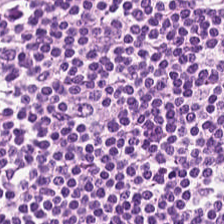Tissue type = lymphoid infiltrate.
